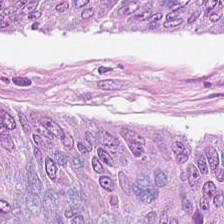Stain: H&E stain.
Preparation: FFPE.
Tissue class: malignant epithelium.
